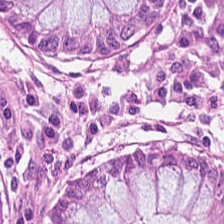Brightfield microscopy; H&E stain. Q: What tissue is shown?
A: The field shows normal colonic mucosa.
